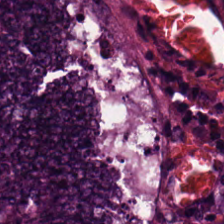H&E stain — {"tissue_type": "colorectal adenocarcinoma epithelium"}
